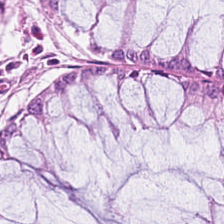FFPE; H&E.
Tissue: normal colon mucosa.
